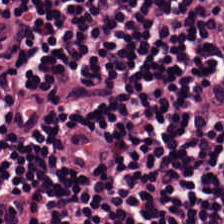Impression → lymphocytic infiltrate.
